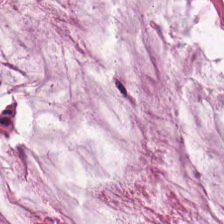Hematoxylin and eosin — Predominant tissue = mucus.
